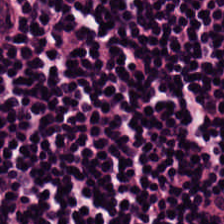Stain: H&E stain.
Tissue type: lymphoid infiltrate.
